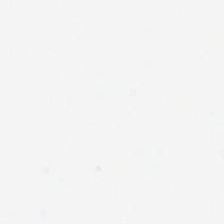H&E-stained tissue section. Histology — empty background.
